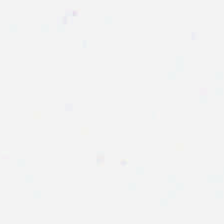Stain: H&E.
Content: empty background.
